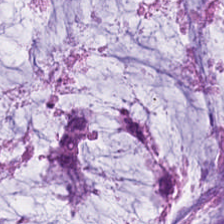H&E stain. 0.5 µm per pixel.
The predominant tissue is mucus.
